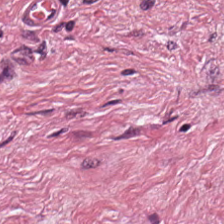Stain: hematoxylin and eosin.
Acquisition: WSI patch.
Preparation: FFPE tissue section.
Tissue class: tumor-associated stroma.
